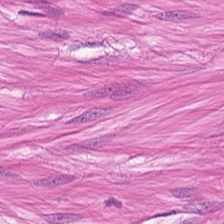Q: What is the predominant tissue type?
A: This is muscularis.
